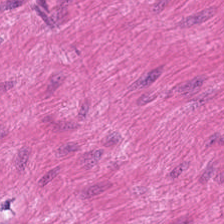224×224 pixel tile. H&E stain. 0.5 µm/px — This patch shows muscularis.
